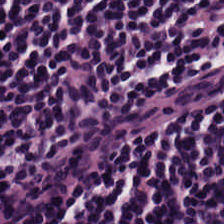Hematoxylin-and-eosin stained section. 224×224 px tile — Q: Identify the tissue.
A: This is lymphoid infiltrate.
